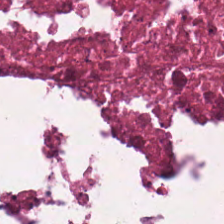Hematoxylin-and-eosin stained section · brightfield microscopy · 20× equivalent magnification. Histology — necrotic debris.
